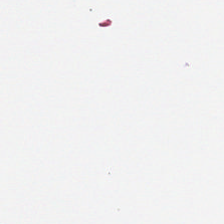{"content": "background"}
